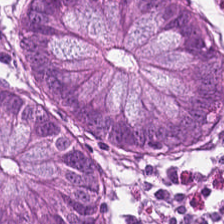H&E stain. This patch shows non-neoplastic colon mucosa.
